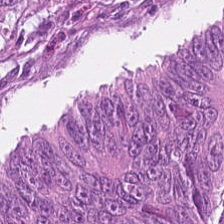H&E.
Q: What tissue type is shown here?
A: It is colorectal adenocarcinoma.
